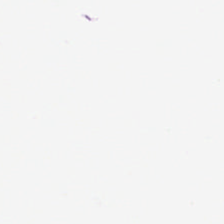No tissue present; background only.
